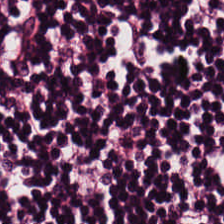Hematoxylin and eosin; 20× equivalent magnification — Histology → lymphocytic infiltrate.
